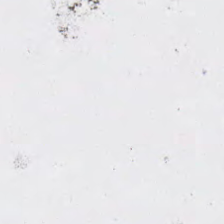Hematoxylin-and-eosin stained section — Classification: empty background.
